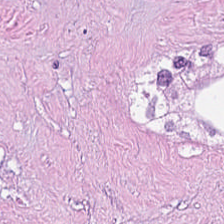Hematoxylin-and-eosin section: debris.
